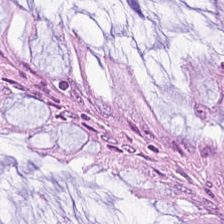H&E-stained tissue section; FFPE tissue section — Q: Identify the tissue.
A: It is non-neoplastic colon mucosa.
